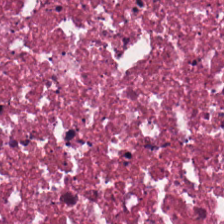Tissue class — cellular debris.
